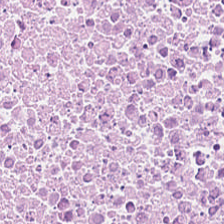Hematoxylin-and-eosin stained section; brightfield; 224×224 px patch.
Predominantly cellular debris.
